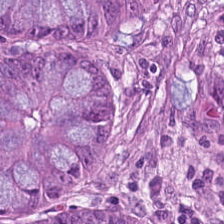Hematoxylin and eosin.
This field is tumor epithelium.
